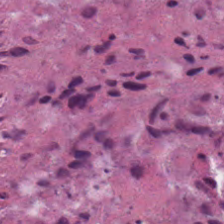Tissue class = cellular debris.
